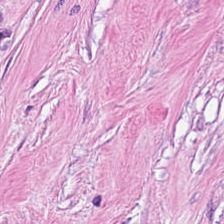Q: What is shown in this field?
A: It is tumor-associated stroma.
